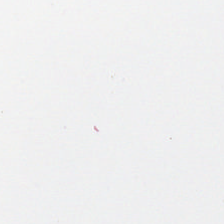{"content": "background"}
